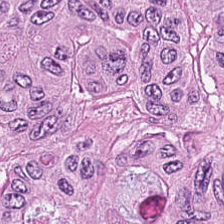Hematoxylin-and-eosin stained section — Showing colorectal adenocarcinoma.
